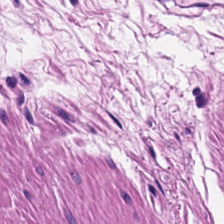H&E — smooth-muscle tissue.
